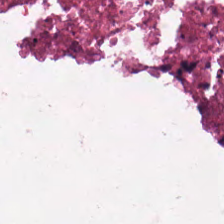H&E; 224×224 px patch.
Predominantly cellular debris.
